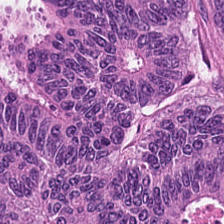Predominant tissue = colorectal adenocarcinoma.
